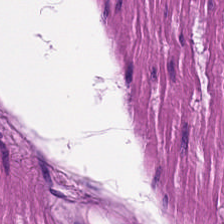H&E stain; 224×224 pixel tile.
{"tissue_type": "smooth-muscle tissue"}
